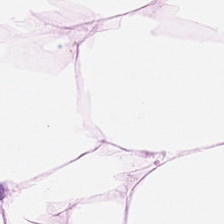224×224 px patch. Hematoxylin and eosin. 0.5 µm/px.
Q: What type of tissue is this?
A: Adipose.
